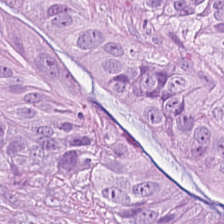Hematoxylin and eosin · 224×224 px patch · brightfield — {"tissue_type": "colorectal adenocarcinoma epithelium"}
